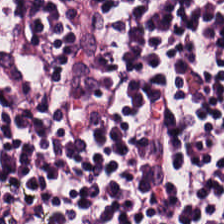Stain: hematoxylin-and-eosin stained section.
Tissue class: lymphocytes.
